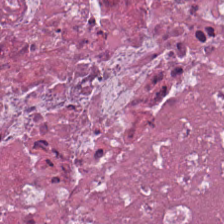Stain: H&E.
Resolution: 0.5 microns per pixel.
Tissue class: cellular debris.
